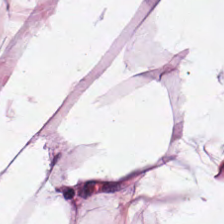Brightfield microscopy · H&E-stained tissue section — Tissue class — adipose tissue.
